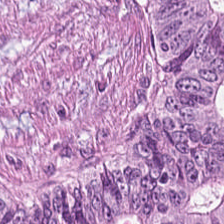Hematoxylin and eosin. The classification is tumor epithelium.
